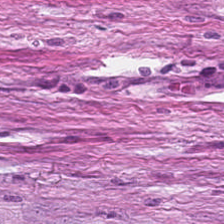Hematoxylin and eosin.
{"tissue_type": "tumor stroma"}
